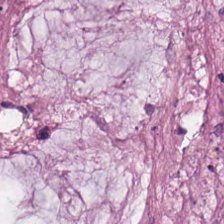H&E · whole-slide-image patch. The tissue type is mucus.
